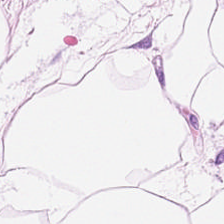H&E stain.
Showing fat tissue.
